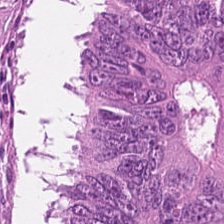20× equivalent magnification · 224×224 pixel tile · H&E — The tissue here is malignant epithelium.
